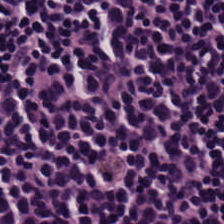Whole-slide-image patch; H&E stain. Impression → lymphocyte aggregate.
